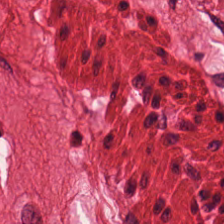Brightfield microscopy; H&E-stained tissue section; FFPE tissue section.
The tissue here is muscularis.
